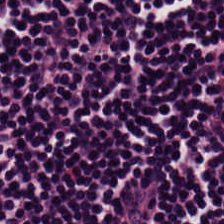H&E-stained tissue section. Lymphocyte aggregate.
